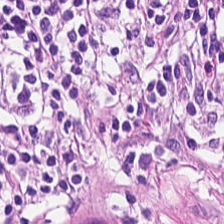Q: Classify this patch.
A: Lymphocytes.
